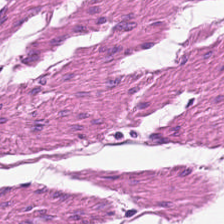FFPE. Hematoxylin and eosin — Predominant tissue = smooth-muscle tissue.
